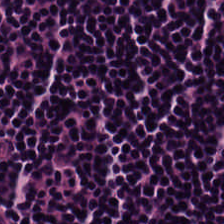H&E · FFPE.
Predominantly lymphocytes.
